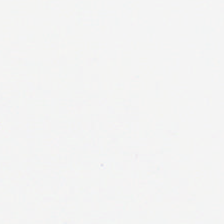H&E stain. Classification: background (no tissue).
